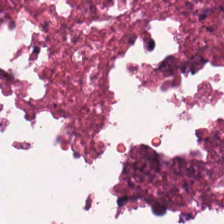The predominant tissue is debris.
